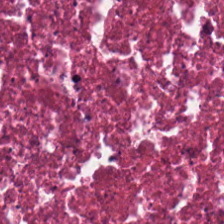FFPE; H&E.
Predominant tissue: cellular debris.
